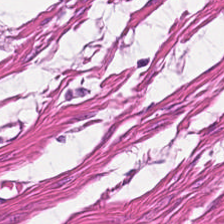H&E.
Q: What is the predominant tissue type?
A: The field shows muscularis.
